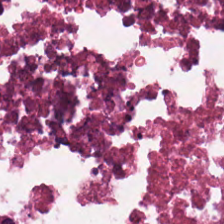20× equivalent magnification; H&E stain; 224×224 px tile — Q: What is shown here?
A: The field shows cellular debris.
